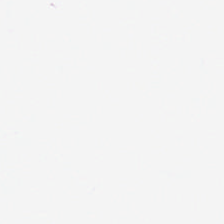FFPE; H&E-stained tissue section. This field is background (no tissue).
